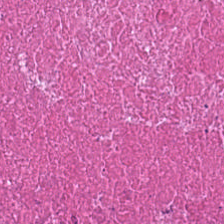Finding → necrotic debris.
